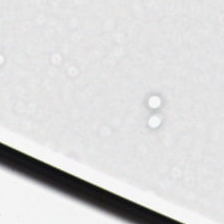Formalin-fixed paraffin-embedded section; hematoxylin and eosin — Q: What is shown here?
A: No tissue.
